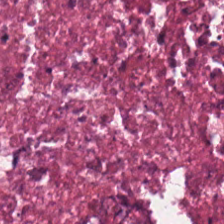Finding → debris.
